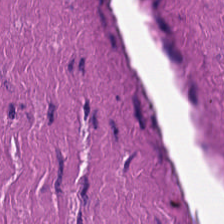H&E stain. Tissue type = smooth-muscle tissue.
